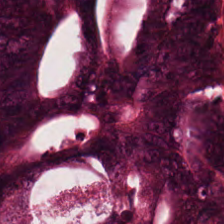H&E stain; 224×224 px patch; 0.5 microns per pixel — Predominant tissue — malignant epithelium.
